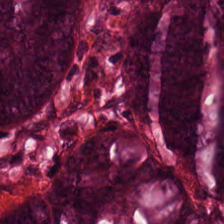Stain: H&E stain.
Resolution: 0.5 µm per pixel.
Acquisition: WSI patch.
Predominant tissue: colorectal adenocarcinoma.
